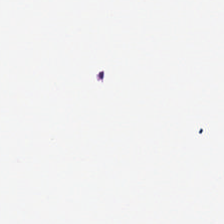0.5 µm/px · hematoxylin-and-eosin stained section · 224×224 px patch — Q: What is shown in this field?
A: This is background.
